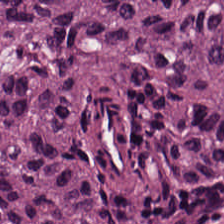H&E-stained tissue section.
Classification — colorectal adenocarcinoma epithelium.
